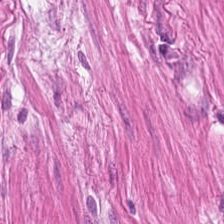224×224 px patch · 20× equivalent magnification · H&E — Showing smooth muscle.
